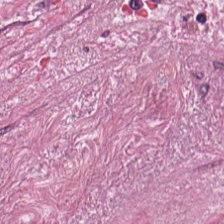Hematoxylin-and-eosin stained section; FFPE. This patch shows tumor-associated stroma.
